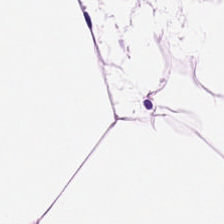H&E-stained tissue section — This patch shows adipose.
